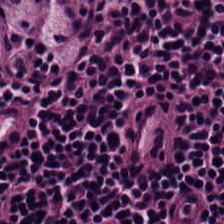Hematoxylin-and-eosin section: lymphocytic infiltrate.
